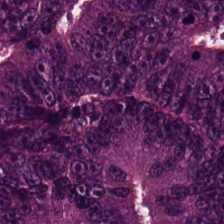Hematoxylin and eosin — Showing colorectal adenocarcinoma epithelium.
